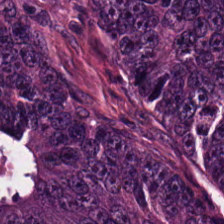Formalin-fixed paraffin-embedded section; H&E. Q: What does this patch show?
A: This is malignant epithelium.
